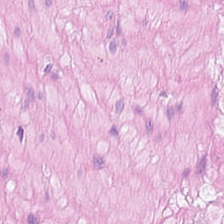FFPE tissue section; H&E.
This field is muscularis.
